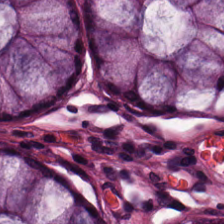Q: What type of tissue is this?
A: It is non-neoplastic colon mucosa.
